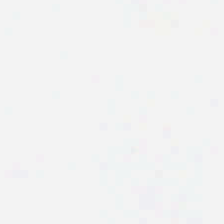Hematoxylin-and-eosin stained section — This patch shows background.
